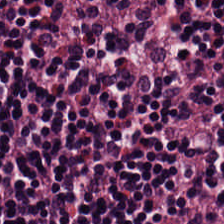Whole-slide-image patch. H&E-stained tissue section.
This patch shows lymphocytes.
